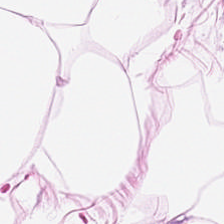0.5 µm/px. Hematoxylin-and-eosin stained section.
Predominant tissue = adipose.
